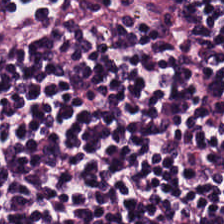H&E stain. 0.5 µm/px. 224×224 px patch.
The tissue here is lymphocyte aggregate.
